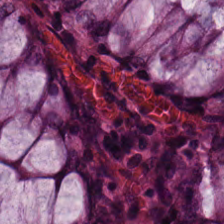224×224 px patch; FFPE; H&E stain.
Q: What tissue type is shown here?
A: This is benign colonic mucosa.
